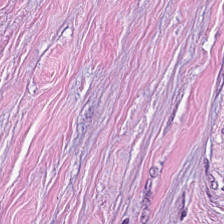Finding — tumor stroma.
